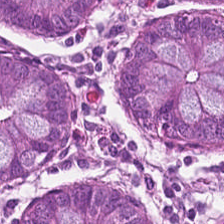Hematoxylin and eosin. Q: What is shown here?
A: The field shows benign colonic mucosa.
